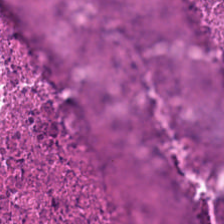Hematoxylin and eosin.
Tissue type: cellular debris.
